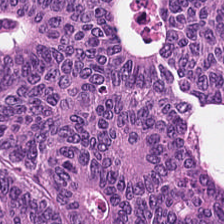20× equivalent magnification · H&E-stained tissue section · WSI patch. The tissue here is malignant epithelium.
